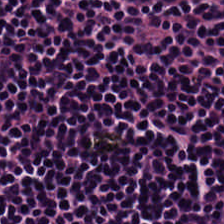H&E-stained tissue section — Classification — lymphocyte aggregate.
